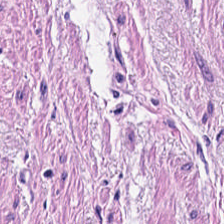Hematoxylin-and-eosin stained section. Showing smooth muscle.
